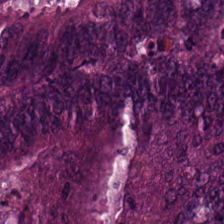Tissue type: adenocarcinoma.
